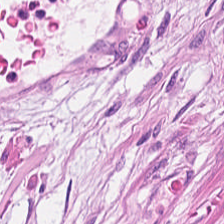Classification — muscularis.
